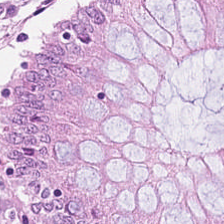Tissue = normal colon mucosa.
